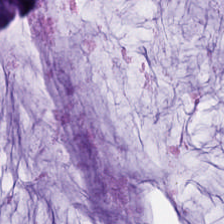H&E-stained tissue section showing mucus.
